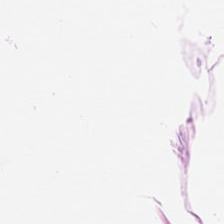224×224 pixel tile · H&E — This patch shows adipose.
